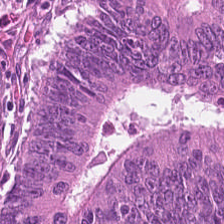H&E-stained tissue section.
The tissue type is malignant epithelium.
